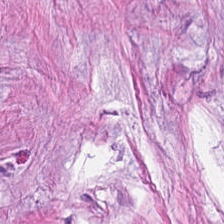Predominant tissue: tumor stroma.
